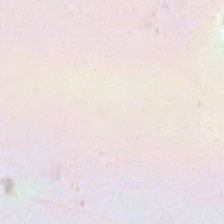Hematoxylin and eosin. The field content is background.
